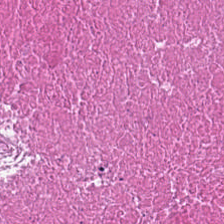Q: What type of tissue is this?
A: It is debris.
